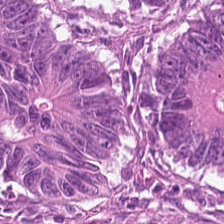H&E. {"tissue_type": "malignant epithelium"}
